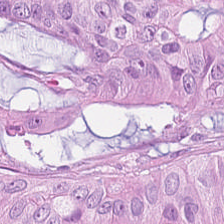Hematoxylin and eosin · WSI patch · 0.5 microns per pixel.
This field is adenocarcinoma.
